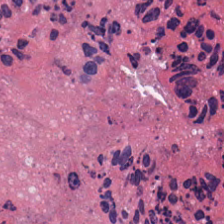224×224 pixel tile. Hematoxylin and eosin. Brightfield.
The predominant tissue is debris.
